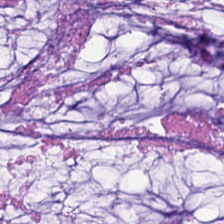224×224 pixel tile. H&E — Tissue: extracellular mucin.
